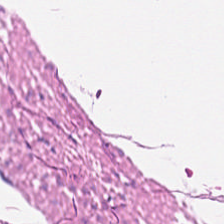Hematoxylin and eosin — This patch shows smooth muscle.
